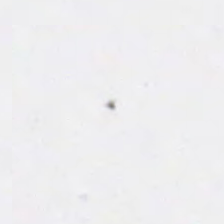224×224 px patch; H&E stain — Field content: empty background.
